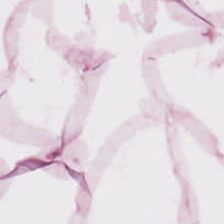H&E-stained tissue section. Brightfield microscopy. FFPE.
Predominant tissue — adipose.
